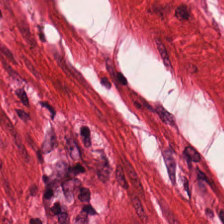Brightfield · formalin-fixed paraffin-embedded section · hematoxylin-and-eosin stained section — The tissue type is smooth-muscle tissue.
